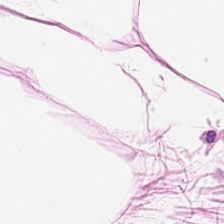0.5 µm/px · hematoxylin-and-eosin stained section.
Tissue class — adipose.
